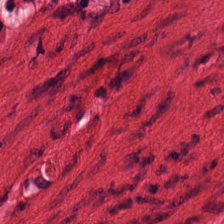H&E. Q: What type of tissue is this?
A: This is muscularis.
